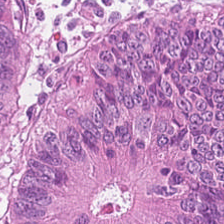Hematoxylin and eosin; 224×224 px patch.
Predominantly adenocarcinoma.
